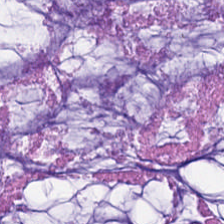H&E-stained tissue section; brightfield microscopy; formalin-fixed paraffin-embedded section.
Mucin.
